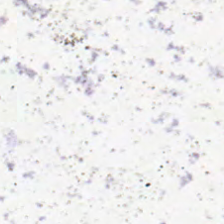Hematoxylin and eosin — Empty field — empty background.
